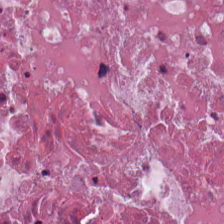WSI patch; H&E; FFPE tissue section. Q: What is the predominant tissue type?
A: This is necrotic debris.
